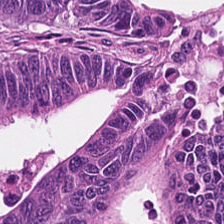Stain: H&E.
Tissue class: colorectal adenocarcinoma.
